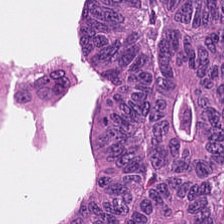224×224 px patch. Whole-slide-image patch. Hematoxylin and eosin. {"tissue_type": "colorectal adenocarcinoma"}
